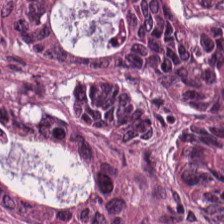224×224 px patch; brightfield microscopy; hematoxylin and eosin.
The predominant tissue is colorectal adenocarcinoma epithelium.
